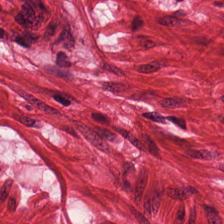Q: What type of tissue is this?
A: Smooth muscle.
